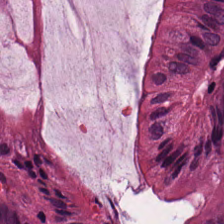H&E stain. The tissue is normal colon mucosa.
